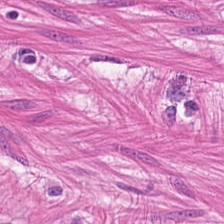Hematoxylin-and-eosin stained section. Classification: muscularis.
